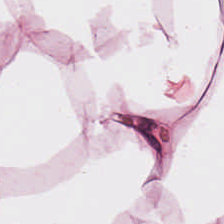The tissue here is adipocytes.
